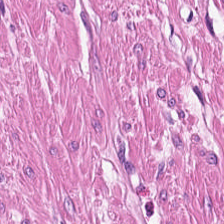H&E-stained tissue section. The tissue here is muscularis.
